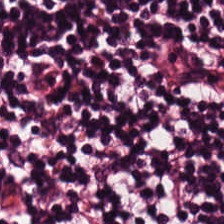Hematoxylin and eosin — Tissue type — lymphoid infiltrate.
